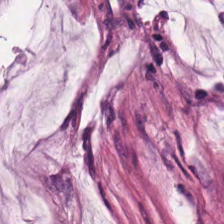Hematoxylin-and-eosin stained section · FFPE tissue section — The tissue here is mucus.
